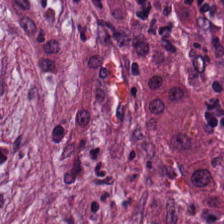224×224 pixel tile. Hematoxylin-and-eosin stained section. Brightfield microscopy. The predominant tissue is tumor stroma.
